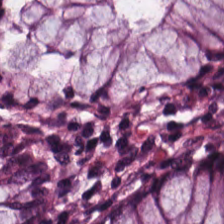Stain: hematoxylin and eosin.
Tile size: 224×224 pixel tile.
Classification: normal colonic mucosa.
